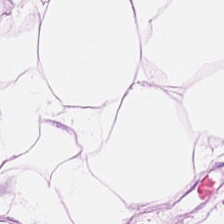Hematoxylin-and-eosin stained section. 0.5 µm/px. 224×224 px patch.
Tissue type = adipose.
